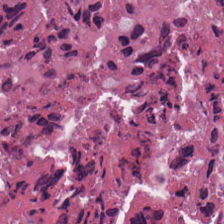This patch shows cellular debris.
